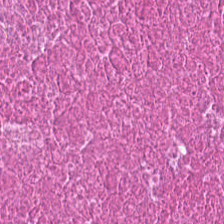Stain: H&E stain.
Tile size: 224×224 px tile.
Acquisition: brightfield.
Classification: necrotic debris.
